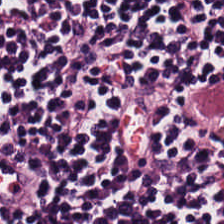224×224 px patch · hematoxylin-and-eosin stained section. Tissue class — lymphocyte aggregate.
